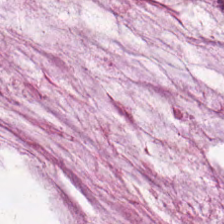224×224 px tile. Brightfield microscopy. H&E stain.
{"tissue_type": "mucus"}
